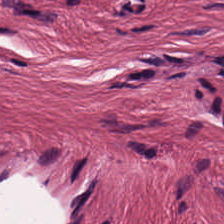H&E stain.
The tissue class is cancer-associated stroma.
